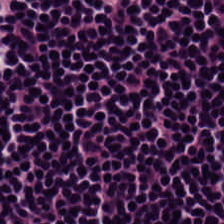H&E stain · whole-slide-image patch — {"tissue_type": "lymphocytic infiltrate"}
